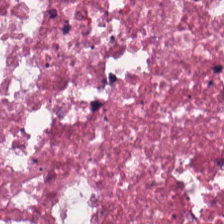H&E-stained tissue section.
Histology → cellular debris.
